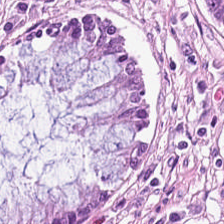Hematoxylin and eosin; 224×224 pixel tile. Predominantly normal colon mucosa.
